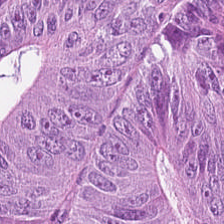Stain: H&E-stained tissue section.
Tissue class: tumor epithelium.
